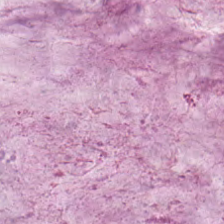224×224 pixel tile · hematoxylin-and-eosin stained section.
Predominantly mucus.
